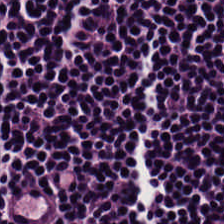H&E; 0.5 µm/px. {"tissue_type": "lymphocyte aggregate"}
